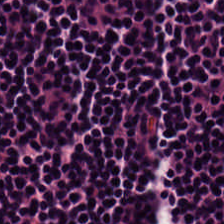H&E-stained tissue section. Predominant tissue — lymphoid infiltrate.
